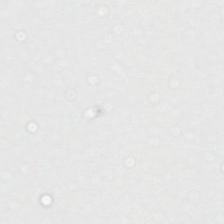H&E · 224×224 px patch. {"content": "empty background"}
